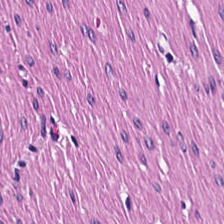H&E stain — This field is smooth-muscle tissue.
